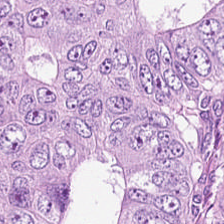Showing colorectal adenocarcinoma.
